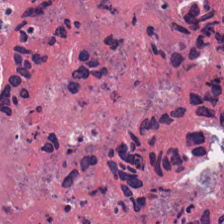The tissue is cellular debris.
